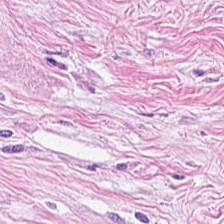H&E-stained tissue section.
This field is desmoplastic stroma.
